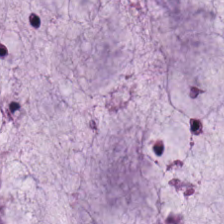H&E stain.
The classification is extracellular mucin.
